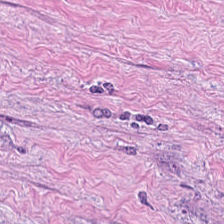H&E stain. 224×224 px patch — This field is cancer-associated stroma.
